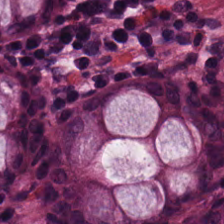H&E stain. 224×224 pixel tile. Tissue = normal colon mucosa.
